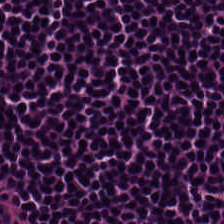Q: What is the predominant tissue type?
A: The field shows lymphoid infiltrate.
